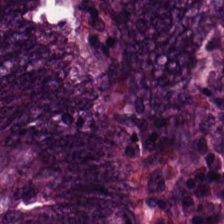This field is adenocarcinoma.
